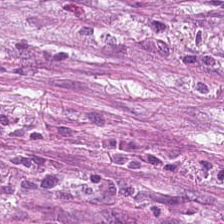Hematoxylin-and-eosin stained section. Histology — tumor stroma.
